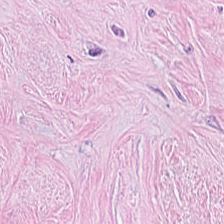H&E stain — The tissue here is tumor-associated stroma.
